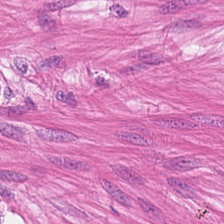H&E — {"tissue_type": "smooth muscle"}
